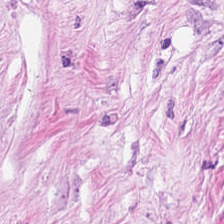224×224 pixel tile. H&E stain — Desmoplastic stroma.
